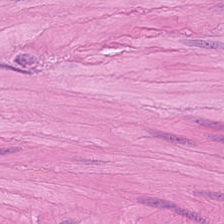FFPE. H&E.
Predominantly smooth muscle.
